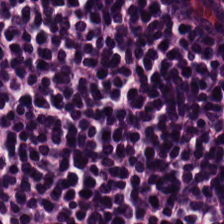Stain: hematoxylin-and-eosin stained section.
Resolution: 0.5 µm/px.
Tissue: lymphocytes.
